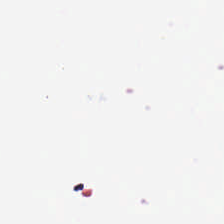H&E-stained tissue section; brightfield microscopy — Background — no tissue in this field.
